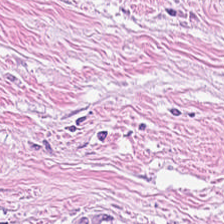Q: What tissue is shown?
A: It is cancer-associated stroma.
